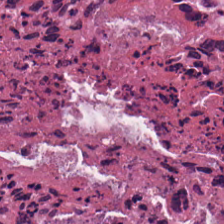WSI patch · hematoxylin and eosin · 0.5 µm/px.
Predominantly debris.
